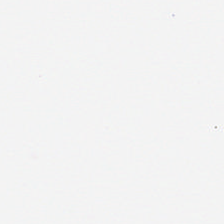No tissue present; background only.
